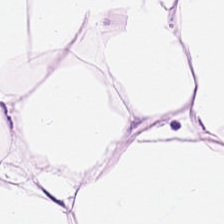Hematoxylin and eosin — The tissue here is adipocytes.
